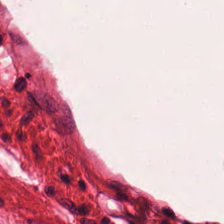Stain: hematoxylin-and-eosin stained section.
Predominant tissue: smooth-muscle tissue.
